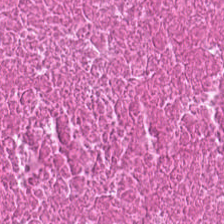Predominant tissue = debris.
